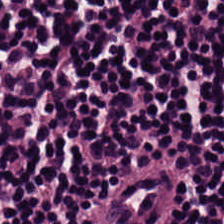{"tissue_type": "lymphocytes"}
